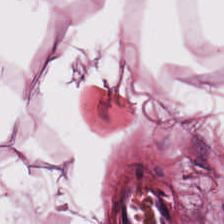20× equivalent magnification; H&E-stained tissue section.
{"tissue_type": "adipocytes"}
